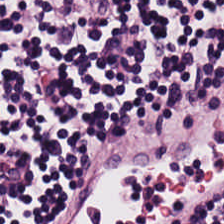Hematoxylin and eosin. {"tissue_type": "lymphoid infiltrate"}
